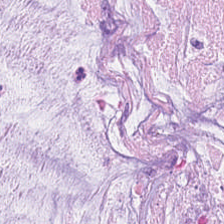Tissue class: extracellular mucin.
